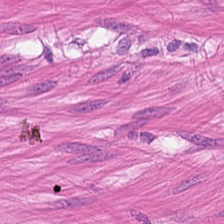Tissue type = smooth-muscle tissue.
